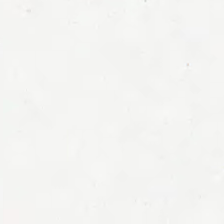Hematoxylin and eosin — Empty field — empty background.
